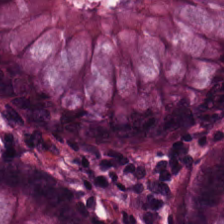Hematoxylin-and-eosin stained section — Tissue class — benign colonic mucosa.
